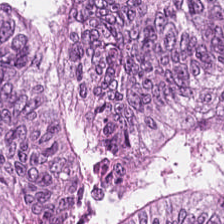0.5 microns per pixel. Hematoxylin-and-eosin stained section — Histology — colorectal adenocarcinoma epithelium.
